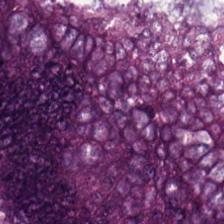H&E.
Q: What tissue is shown?
A: It is colorectal adenocarcinoma.
